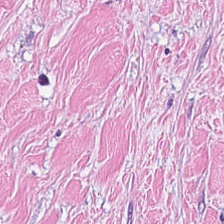Hematoxylin and eosin · 0.5 microns per pixel. {"tissue_type": "tumor stroma"}
